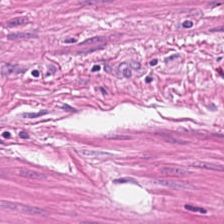Stain: hematoxylin and eosin.
Predominant tissue: smooth muscle.
